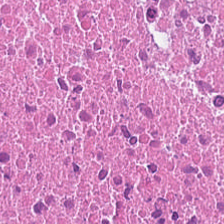FFPE · hematoxylin and eosin · 0.5 µm/px.
Tissue = cellular debris.
